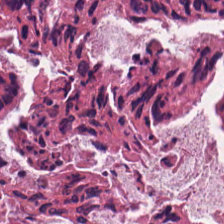Stain: hematoxylin-and-eosin stained section.
Resolution: 20× equivalent magnification.
Acquisition: WSI patch.
Predominant tissue: necrotic debris.
